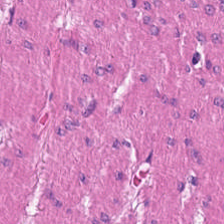H&E stain; 0.5 µm/px.
Tissue class — smooth muscle.
